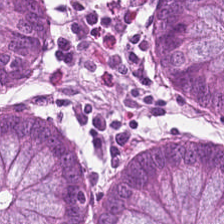Hematoxylin-and-eosin stained section · FFPE · brightfield — Normal colon mucosa.
